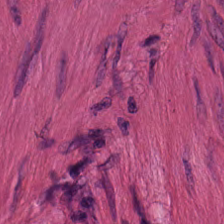The predominant tissue is smooth muscle.
